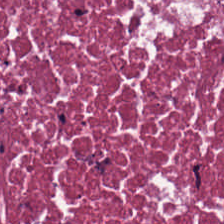Stain: hematoxylin-and-eosin stained section.
Predominant tissue: cellular debris.
